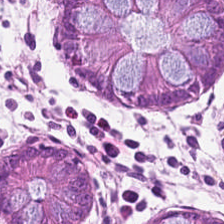Histology → normal colonic mucosa.
